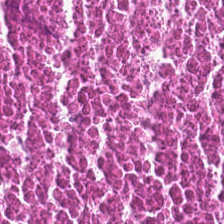{"tissue_type": "debris"}
